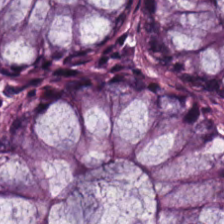The predominant tissue is non-neoplastic colon mucosa.
